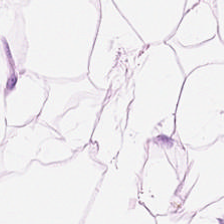Q: Classify this patch.
A: The field shows adipose tissue.
